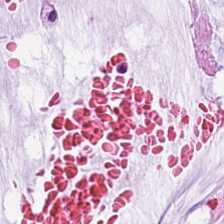224×224 pixel tile · formalin-fixed paraffin-embedded section · H&E stain — Tissue class — extracellular mucin.
